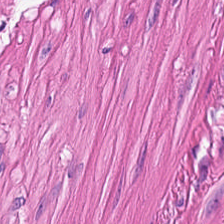FFPE tissue section · hematoxylin-and-eosin stained section.
Q: What is shown in this field?
A: It is smooth-muscle tissue.
